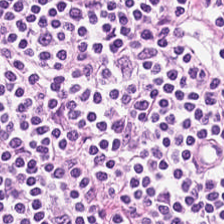Tissue = lymphocytes.
